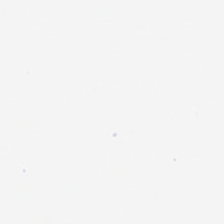0.5 µm/px. Hematoxylin and eosin.
The content is no tissue.
